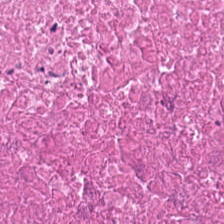Tissue class — cellular debris.
